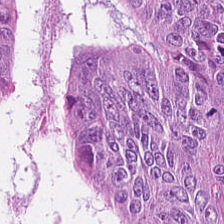0.5 µm/px; H&E-stained tissue section; 224×224 px patch. Q: What is the predominant tissue type?
A: This is tumor epithelium.
